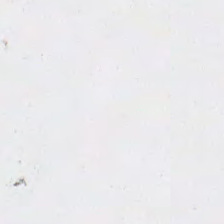Field content — empty background.
